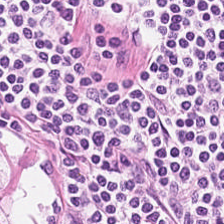H&E-stained tissue section. This patch shows lymphocytes.
